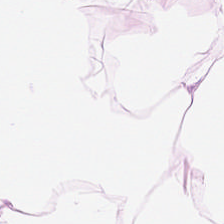Tissue type — adipocytes.
